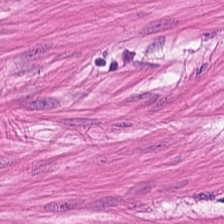Predominant tissue — muscularis.
